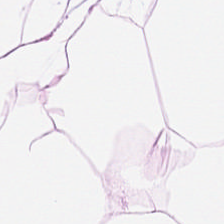Hematoxylin-and-eosin stained section.
The predominant tissue is adipocytes.
